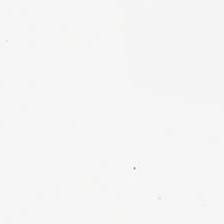H&E-stained tissue section. Impression — empty background.
